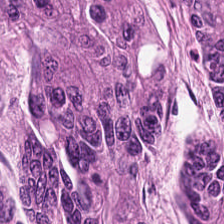224×224 px tile · 20× equivalent magnification · hematoxylin and eosin. Tissue type: malignant epithelium.
